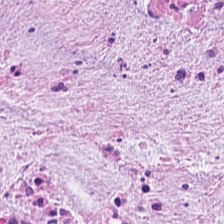Hematoxylin and eosin.
Classification — tumor stroma.
